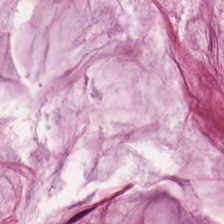224×224 px patch · 0.5 µm per pixel · H&E-stained tissue section — Tissue class = mucus.
